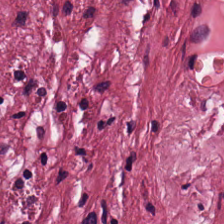Formalin-fixed paraffin-embedded section. Hematoxylin-and-eosin stained section.
The tissue here is tumor-associated stroma.
